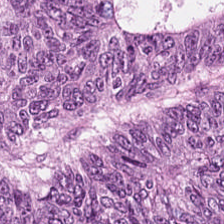20× equivalent magnification; FFPE tissue section; H&E-stained tissue section — Q: What is shown in this field?
A: The field shows adenocarcinoma.
